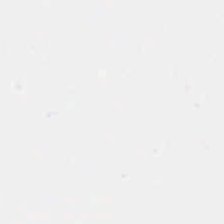H&E stain · 0.5 microns per pixel · whole-slide-image patch.
Content: background (no tissue).
